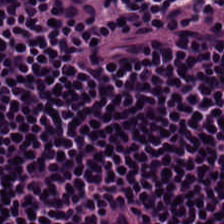Stain: H&E-stained tissue section.
Preparation: formalin-fixed paraffin-embedded section.
Tissue class: lymphocytes.
